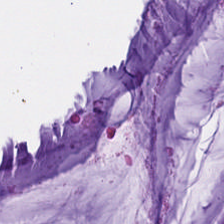H&E-stained tissue section. Q: Classify this patch.
A: Mucin.
